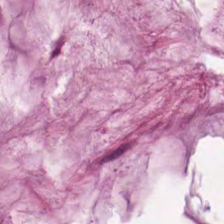Hematoxylin-and-eosin stained section · 0.5 microns per pixel · brightfield — Histology → mucus.
